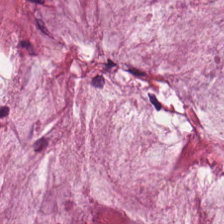Stain: hematoxylin-and-eosin stained section.
Classification: mucus.
